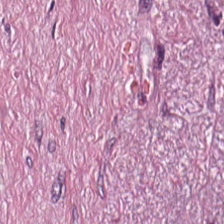Hematoxylin and eosin.
The predominant tissue is tumor-associated stroma.
